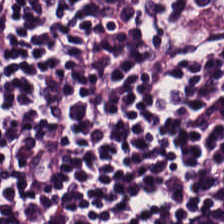Q: What type of tissue is this?
A: Lymphocyte aggregate.
